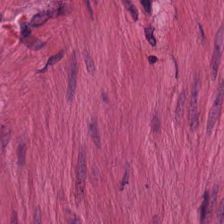Hematoxylin and eosin.
Q: What tissue is shown?
A: Muscularis.
